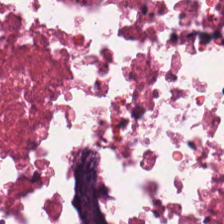Stain: H&E.
Tissue type: debris.
